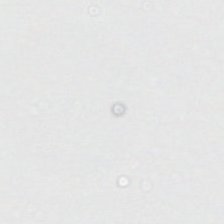Stain: hematoxylin and eosin.
Resolution: 0.5 µm per pixel.
Preparation: formalin-fixed paraffin-embedded section.
Field content: background (no tissue).
